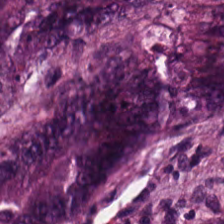Q: Classify this patch.
A: Adenocarcinoma.
